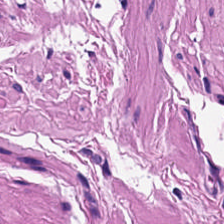0.5 microns per pixel; H&E-stained tissue section.
{"tissue_type": "muscularis"}
